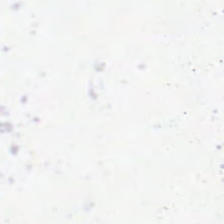This field is background (no tissue).
